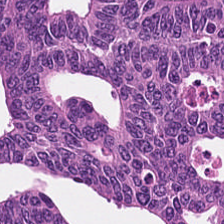H&E stain.
Q: What is the predominant tissue type?
A: It is colorectal adenocarcinoma epithelium.
